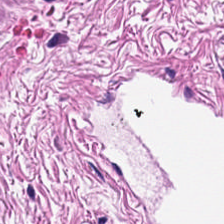0.5 µm/px. 224×224 px tile. Hematoxylin and eosin — Q: What is the predominant tissue type?
A: Smooth muscle.
